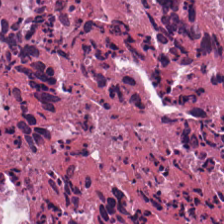H&E. Q: What does this patch show?
A: It is necrotic debris.
